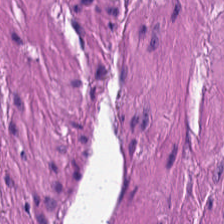H&E stain — Predominant tissue: muscularis.
